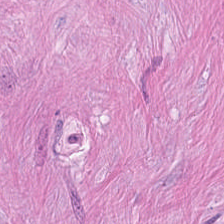Stain: hematoxylin-and-eosin stained section.
Tissue: tumor-associated stroma.
